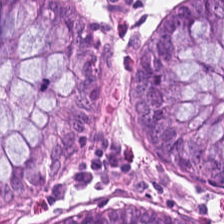H&E stain.
Tissue = benign colonic mucosa.
